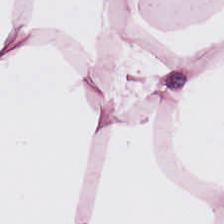Hematoxylin and eosin.
Adipocytes.
